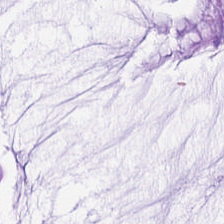H&E-stained tissue section; 224×224 px tile — This patch shows mucus.
